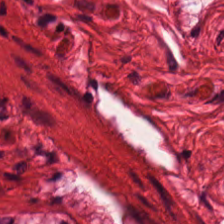H&E patch showing smooth-muscle tissue.
